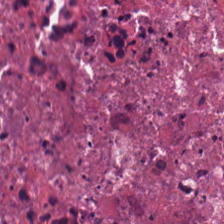Hematoxylin-and-eosin stained section. This field is debris.
